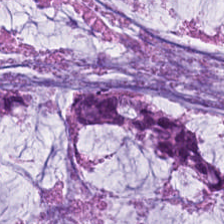Impression — extracellular mucin.
